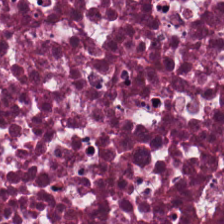H&E-stained tissue section. This field is necrotic debris.
